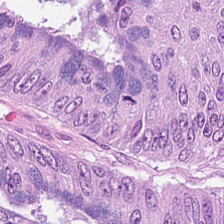Q: Identify the tissue.
A: This is adenocarcinoma.
